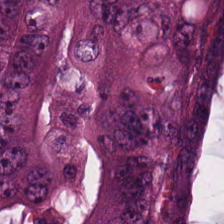Stain: hematoxylin-and-eosin stained section.
Tile size: 224×224 px patch.
Tissue type: colorectal adenocarcinoma epithelium.
